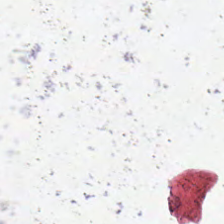H&E-stained tissue section. Q: What is shown in this field?
A: It is no tissue.
